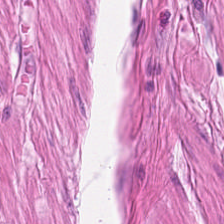H&E stain; 224×224 pixel tile — Tissue — muscularis.
